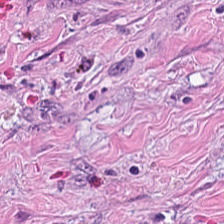0.5 µm per pixel. H&E stain. WSI patch.
Q: What tissue is shown?
A: It is desmoplastic stroma.
